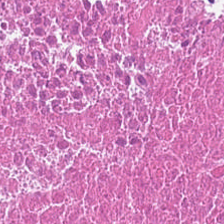Stain: hematoxylin and eosin.
Tile size: 224×224 px patch.
Resolution: 0.5 µm/px.
Tissue type: necrotic debris.
